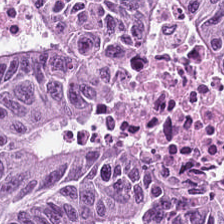H&E · 0.5 µm/px. Tissue type: malignant epithelium.
